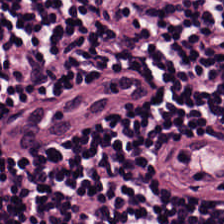Impression → lymphocyte aggregate.
